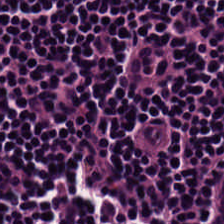Brightfield microscopy · H&E. Predominant tissue = lymphocytes.
